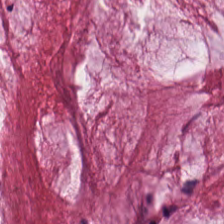Stain: H&E-stained tissue section.
Acquisition: whole-slide-image patch.
Resolution: 0.5 µm per pixel.
Tissue class: mucus.
